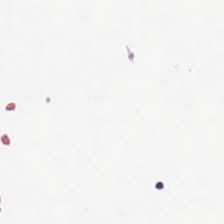Hematoxylin-and-eosin stained section. This field is background (no tissue).
